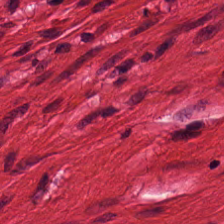Whole-slide-image patch. FFPE tissue section. Hematoxylin and eosin.
Q: What is the predominant tissue type?
A: Smooth muscle.
